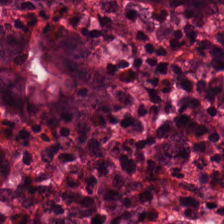0.5 microns per pixel. H&E stain — This field is benign colonic mucosa.
